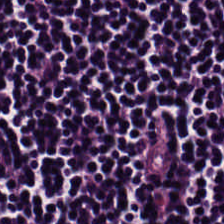Hematoxylin-and-eosin stained section — Q: What is the predominant tissue type?
A: It is lymphocytic infiltrate.
